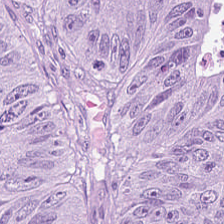The classification is colorectal adenocarcinoma.
